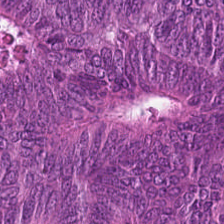H&E — This patch shows tumor epithelium.
